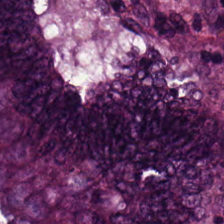Hematoxylin-and-eosin stained section.
Q: Identify the tissue.
A: It is tumor epithelium.
